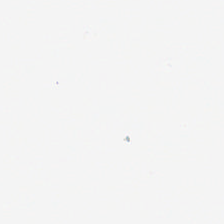No tissue.
